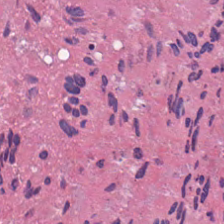H&E. This patch shows cellular debris.
